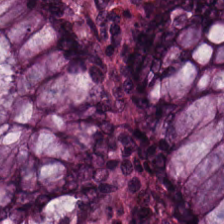Tissue class: normal colon mucosa.
